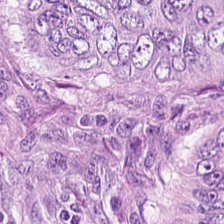Hematoxylin-and-eosin stained section. FFPE tissue section — Finding → colorectal adenocarcinoma epithelium.
